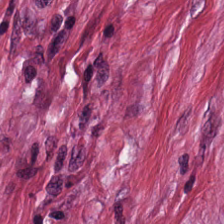H&E. The predominant tissue is tumor stroma.
